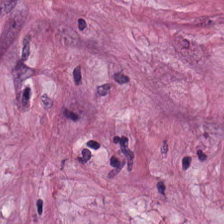H&E-stained tissue section — This patch shows tumor stroma.
